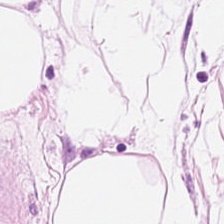H&E-stained tissue section — Showing adipose.
